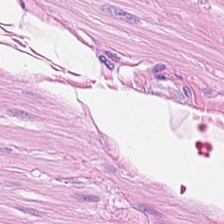H&E. WSI patch — Showing smooth muscle.
